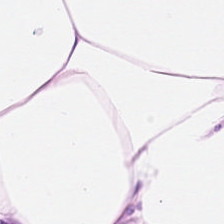H&E stain.
Q: What type of tissue is this?
A: Adipose.
